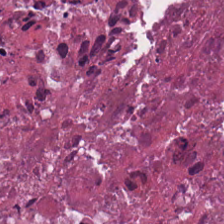Hematoxylin-and-eosin stained section — Showing necrotic debris.
